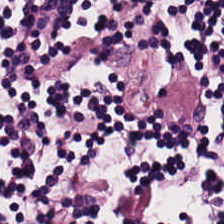H&E — lymphocytes.
